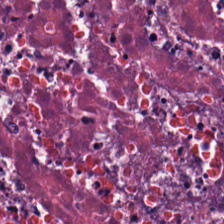Hematoxylin and eosin — Q: What is shown in this field?
A: Necrotic debris.
